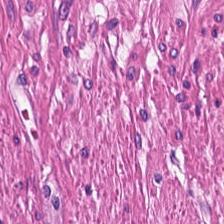H&E stain — Q: What is shown in this field?
A: It is muscularis.
